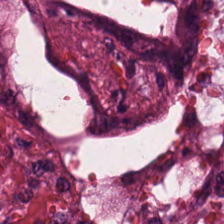H&E-stained tissue section — Q: What type of tissue is this?
A: It is debris.
